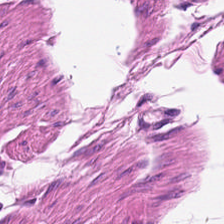Stain: hematoxylin and eosin.
Tissue type: smooth muscle.
